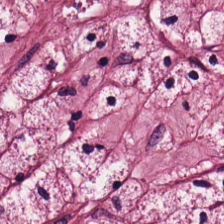Showing tumor-associated stroma.
